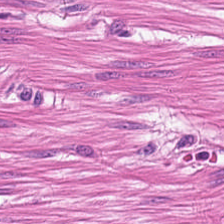Q: What is shown here?
A: The field shows muscularis.
